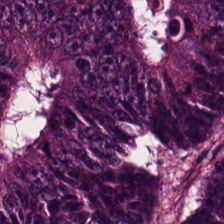224×224 pixel tile · hematoxylin and eosin.
Showing colorectal adenocarcinoma.
